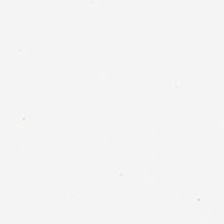Q: What does this patch show?
A: It is empty background.
